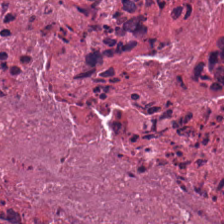Hematoxylin-and-eosin stained section.
Q: What tissue is shown?
A: Debris.
